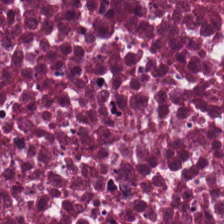Stain: hematoxylin-and-eosin stained section.
Acquisition: WSI patch.
Preparation: FFPE tissue section.
Tissue: necrotic debris.
